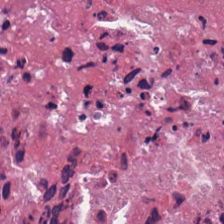H&E-stained tissue section; FFPE tissue section; 224×224 pixel tile.
Tissue class — necrotic debris.
